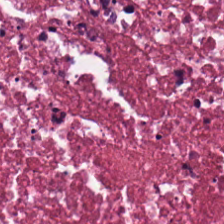H&E-stained tissue section.
Tissue class: necrotic debris.
